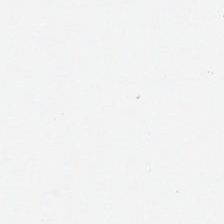H&E — Empty field — background.
